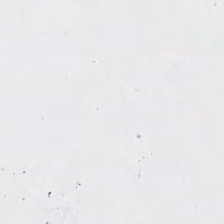20× equivalent magnification. Brightfield microscopy. H&E stain. Empty field — background (no tissue).
